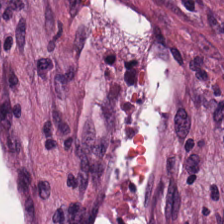Whole-slide-image patch; hematoxylin and eosin; FFPE. Q: Identify the tissue.
A: It is tumor-associated stroma.
